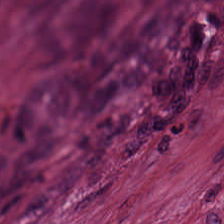H&E-stained tissue section — Histology → tumor stroma.
